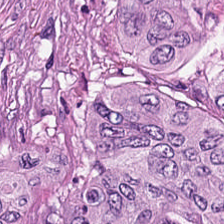Hematoxylin and eosin; 0.5 microns per pixel.
Q: What is shown in this field?
A: This is adenocarcinoma.
